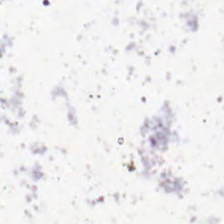H&E. FFPE. Q: What is shown in this field?
A: Background.
